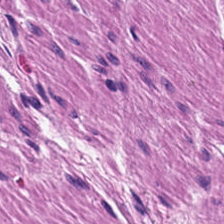Q: What tissue type is shown here?
A: Muscularis.
